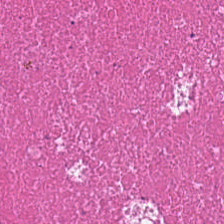Stain: H&E-stained tissue section.
Preparation: formalin-fixed paraffin-embedded section.
Classification: debris.
